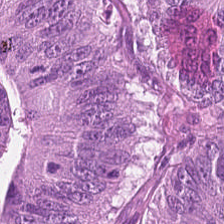H&E-stained tissue section. The tissue here is tumor epithelium.
